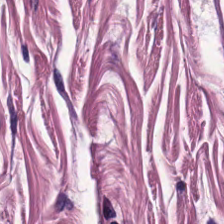Hematoxylin-and-eosin stained section. Tissue = smooth muscle.
